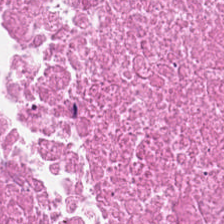0.5 microns per pixel · H&E stain · 224×224 px patch — The predominant tissue is cellular debris.
